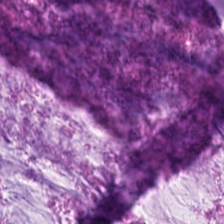Stain: hematoxylin and eosin.
Tissue type: mucus.
